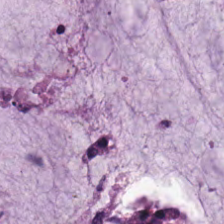Stain: H&E stain.
Acquisition: WSI patch.
Tissue class: extracellular mucin.
